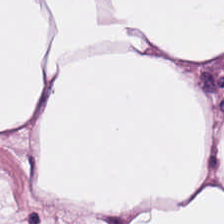Predominant tissue — adipocytes.
